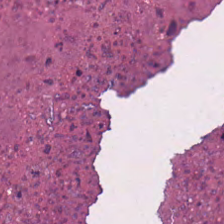H&E-stained tissue section.
Predominant tissue: cellular debris.
